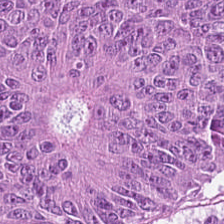H&E-stained tissue section · FFPE tissue section — Showing colorectal adenocarcinoma epithelium.
